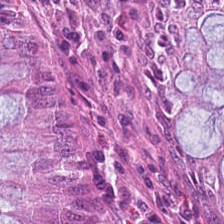Formalin-fixed paraffin-embedded section; H&E-stained tissue section — Histology — normal colonic mucosa.
